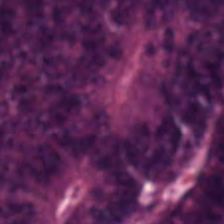H&E-stained tissue section — Q: What is shown here?
A: The field shows malignant epithelium.
